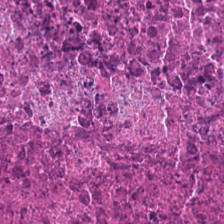Tissue: necrotic debris.
